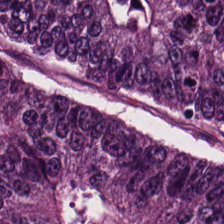Hematoxylin and eosin. This patch shows adenocarcinoma.
